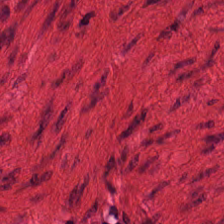WSI patch. H&E.
This patch shows smooth-muscle tissue.
